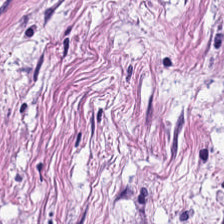Hematoxylin-and-eosin stained section. Impression — tumor stroma.
